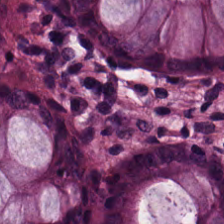224×224 pixel tile; hematoxylin and eosin; formalin-fixed paraffin-embedded section — Classification — normal colon mucosa.
